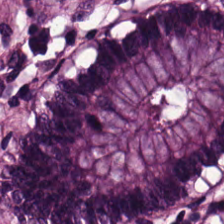20× equivalent magnification · H&E.
The tissue is non-neoplastic colon mucosa.
